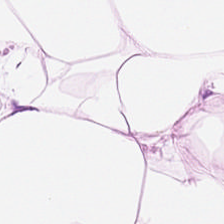Hematoxylin and eosin — Q: What does this patch show?
A: Adipocytes.
